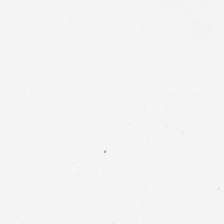FFPE; hematoxylin-and-eosin stained section. Q: What is shown here?
A: It is no tissue.
